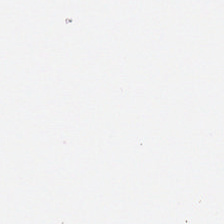0.5 microns per pixel; H&E-stained tissue section; whole-slide-image patch. The classification is background.
